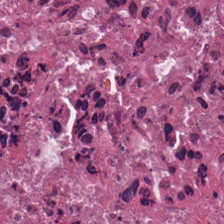Stain: H&E stain.
Acquisition: brightfield.
Tile size: 224×224 px patch.
Predominant tissue: debris.
